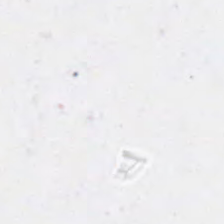Hematoxylin-and-eosin stained section.
Background — no tissue in this field.
